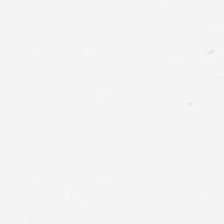224×224 px tile; hematoxylin and eosin; 0.5 µm/px.
Q: What is shown here?
A: Background.
